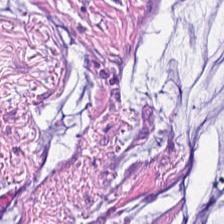Hematoxylin-and-eosin stained section. This patch shows tumor stroma.
